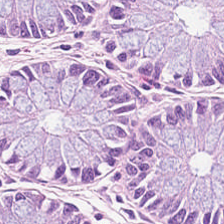Tissue type — normal colon mucosa.
